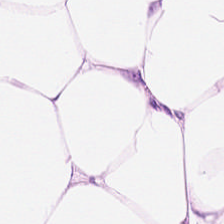H&E. Q: What type of tissue is this?
A: Fat tissue.
